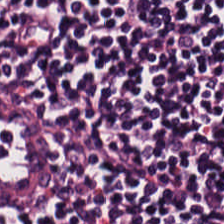H&E-stained tissue section — Showing lymphocyte aggregate.
